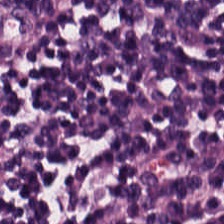FFPE · H&E · brightfield microscopy — Q: What tissue is shown?
A: It is lymphocytes.
